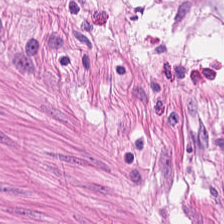Hematoxylin-and-eosin stained section.
Q: What is shown here?
A: The field shows smooth muscle.
